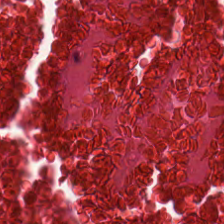224×224 pixel tile; FFPE; hematoxylin and eosin — Necrotic debris.
